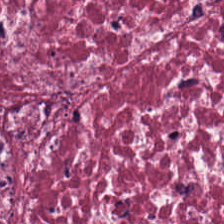Stain: H&E.
Tissue: desmoplastic stroma.
